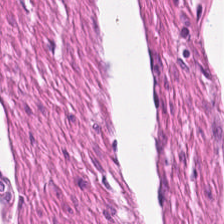H&E-stained tissue section. Q: What is shown in this field?
A: This is smooth muscle.
